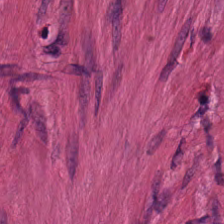H&E stain. Impression — smooth muscle.
